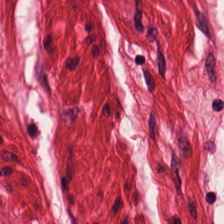H&E-stained tissue section — Impression → smooth muscle.
